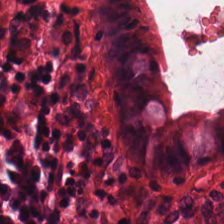Hematoxylin and eosin.
The predominant tissue is non-neoplastic colon mucosa.
